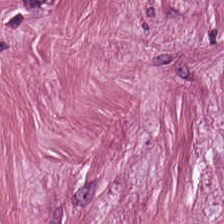Q: What is the predominant tissue type?
A: The field shows tumor-associated stroma.
